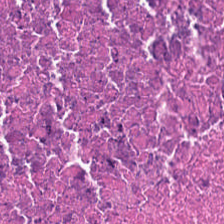Cellular debris.
